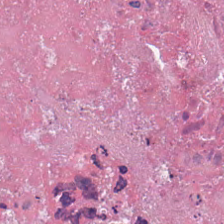WSI patch. H&E stain — Q: What is the predominant tissue type?
A: Cellular debris.
